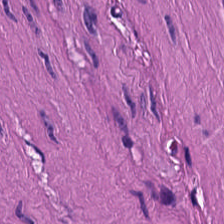Tissue = smooth muscle.
